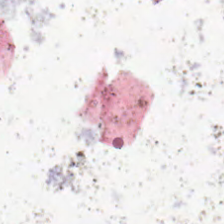The content is no tissue.
